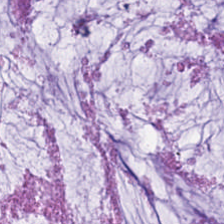20× equivalent magnification. Brightfield microscopy. H&E. The tissue is extracellular mucin.
